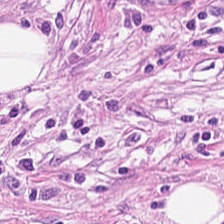Stain: hematoxylin and eosin.
Resolution: 0.5 µm per pixel.
Predominant tissue: cancer-associated stroma.
